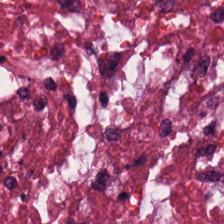Formalin-fixed paraffin-embedded section · hematoxylin-and-eosin stained section — {"tissue_type": "necrotic debris"}
